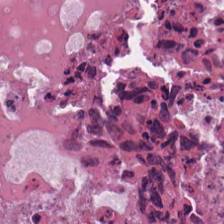H&E. The tissue here is cellular debris.
